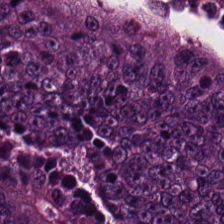H&E stain — Tissue = tumor epithelium.
